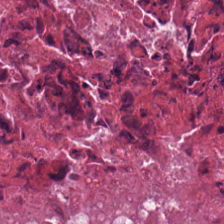FFPE. Hematoxylin and eosin. {"tissue_type": "debris"}
